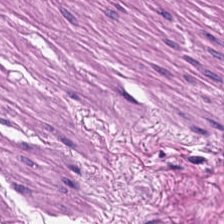H&E stain · WSI patch. Tissue: muscularis.
